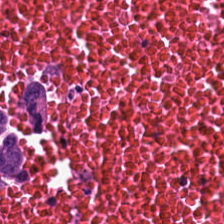H&E-stained tissue section; 0.5 microns per pixel; formalin-fixed paraffin-embedded section.
Predominantly cellular debris.
